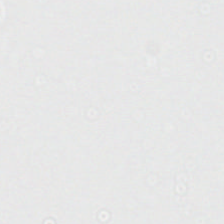This field is background (no tissue).
